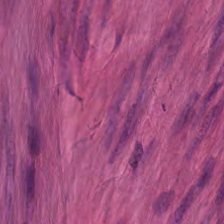Hematoxylin-and-eosin stained section; FFPE; 224×224 px tile — Smooth-muscle tissue.
